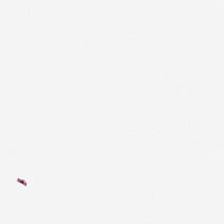Formalin-fixed paraffin-embedded section · WSI patch · hematoxylin and eosin.
No tissue present; background only.
